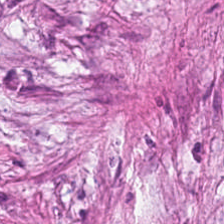FFPE. Hematoxylin-and-eosin stained section.
Finding — tumor-associated stroma.
